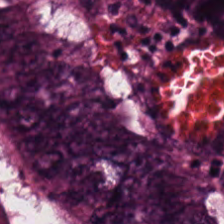FFPE · 0.5 µm/px · H&E-stained tissue section.
Predominantly malignant epithelium.
